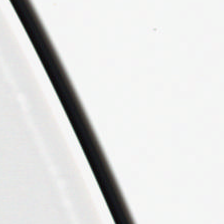Stain: H&E stain.
Tile size: 224×224 px patch.
Preparation: formalin-fixed paraffin-embedded section.
Content: no tissue.
